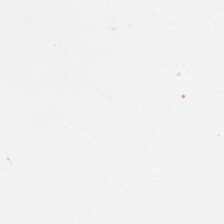0.5 µm/px · hematoxylin and eosin · WSI patch. This field is background (no tissue).
